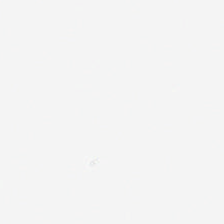0.5 microns per pixel; hematoxylin and eosin; FFPE — Background.
